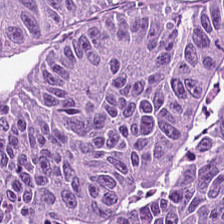Stain: H&E.
Resolution: 0.5 µm per pixel.
Predominant tissue: adenocarcinoma.
